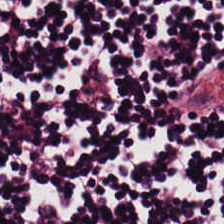H&E stain. 0.5 microns per pixel.
{"tissue_type": "lymphocyte aggregate"}
